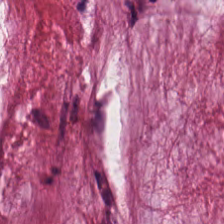0.5 microns per pixel. Whole-slide-image patch. Hematoxylin-and-eosin stained section.
Histology — mucin.
